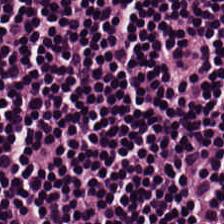Hematoxylin-and-eosin stained section. 224×224 px patch. 20× equivalent magnification — Lymphocyte aggregate.
